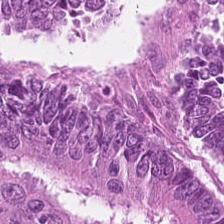Hematoxylin and eosin.
{"tissue_type": "colorectal adenocarcinoma epithelium"}
